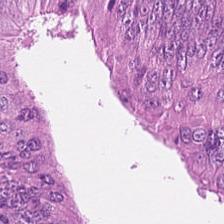Brightfield. 0.5 µm/px. H&E.
Q: What does this patch show?
A: This is colorectal adenocarcinoma.
